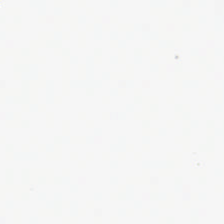Empty field — background.
